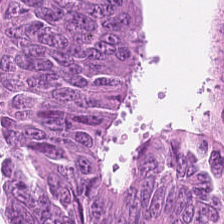H&E stain — Tissue class = malignant epithelium.
